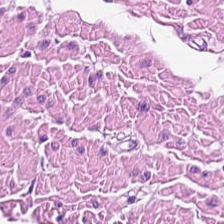Classification: smooth muscle.
